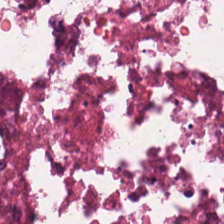Hematoxylin and eosin; brightfield — {"tissue_type": "necrotic debris"}
